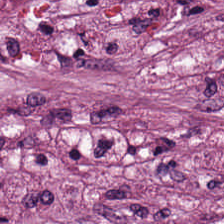Stain: hematoxylin and eosin.
Classification: desmoplastic stroma.
